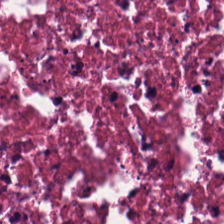H&E — Q: Classify this patch.
A: The field shows debris.
